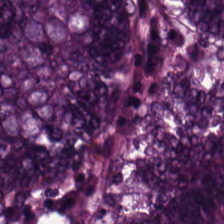Stain: H&E stain.
Tissue type: malignant epithelium.
